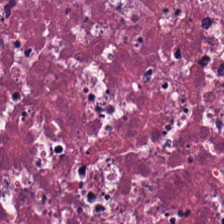H&E stain — Tissue type: necrotic debris.
